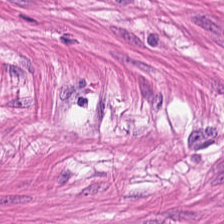H&E; WSI patch. Classification — muscularis.
